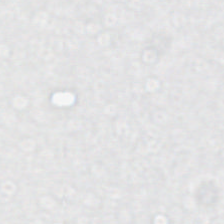H&E stain; 0.5 µm per pixel — Impression — no tissue.
